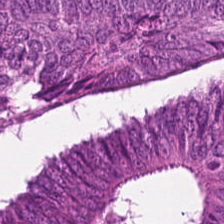H&E · brightfield.
Q: What is the predominant tissue type?
A: It is malignant epithelium.
